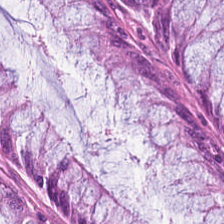224×224 pixel tile. WSI patch. H&E stain. The tissue here is non-neoplastic colon mucosa.
